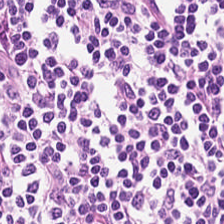0.5 µm/px · hematoxylin and eosin · FFPE.
Q: What tissue type is shown here?
A: It is lymphocytes.
